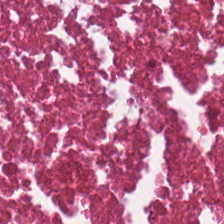H&E-stained tissue section; whole-slide-image patch; FFPE tissue section — Classification — necrotic debris.
